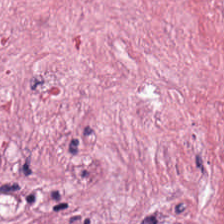H&E-stained tissue section; 224×224 pixel tile. Predominantly tumor stroma.
